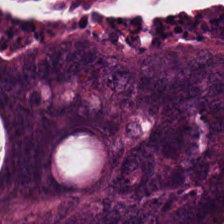Hematoxylin-and-eosin stained section.
Predominantly tumor epithelium.
